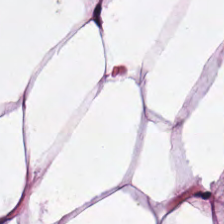H&E — {"tissue_type": "adipose"}
